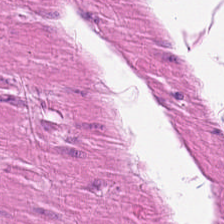Hematoxylin-and-eosin section: muscularis.
